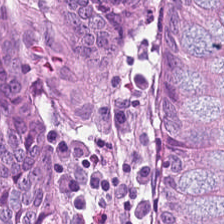Hematoxylin-and-eosin stained section. Q: What tissue type is shown here?
A: Benign colonic mucosa.
